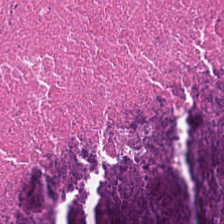H&E. Histology — debris.
